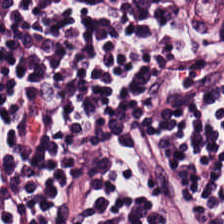Stain: H&E.
Tissue: lymphocyte aggregate.
